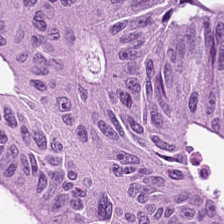20× equivalent magnification. Hematoxylin-and-eosin stained section.
This field is tumor epithelium.
